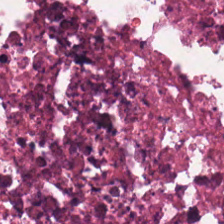WSI patch. Formalin-fixed paraffin-embedded section. H&E stain — Finding → cellular debris.
